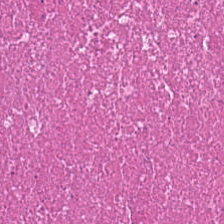Hematoxylin-and-eosin stained section — Finding → cellular debris.
